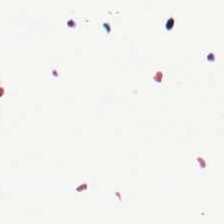H&E.
Field content — background (no tissue).
